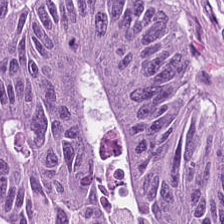Stain: hematoxylin and eosin.
Tissue: tumor epithelium.
